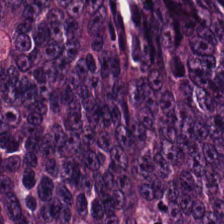FFPE tissue section; H&E. This patch shows colorectal adenocarcinoma epithelium.
